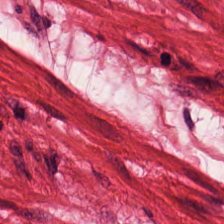Histology — muscularis.
